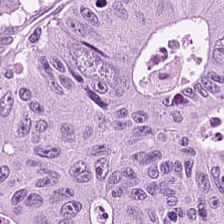H&E stain. Tissue type = tumor epithelium.
